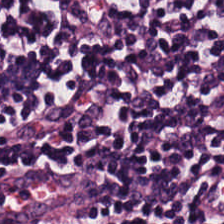Classification: lymphocytic infiltrate.
